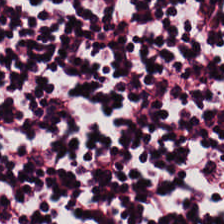H&E · brightfield — Q: Classify this patch.
A: Lymphocytes.
